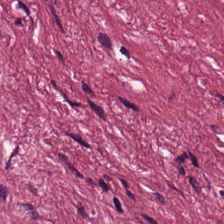H&E stain — Q: What tissue is shown?
A: This is cancer-associated stroma.
